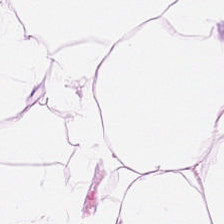Hematoxylin and eosin — The tissue here is adipocytes.
